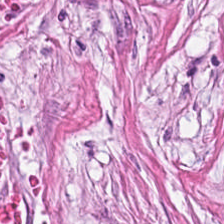The tissue here is tumor stroma.
